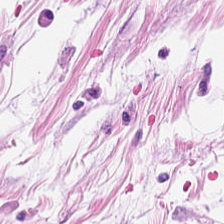224×224 px patch; hematoxylin and eosin. Finding → adipose.
